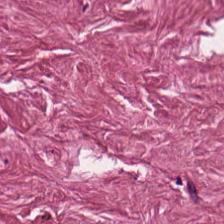H&E-stained tissue section. FFPE tissue section. 20× equivalent magnification.
Tumor stroma.
